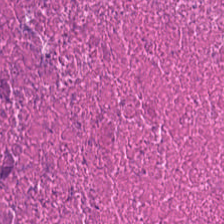Stain: H&E.
Tissue type: debris.
